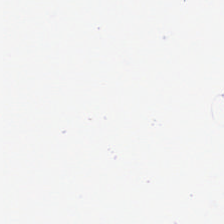Stain: hematoxylin and eosin.
Content: background (no tissue).
